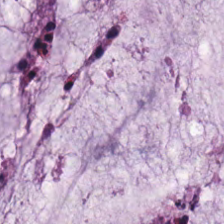H&E; 0.5 microns per pixel — Extracellular mucin.
